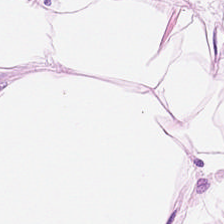Formalin-fixed paraffin-embedded section · 224×224 px tile · H&E stain. Q: What does this patch show?
A: The field shows fat tissue.
